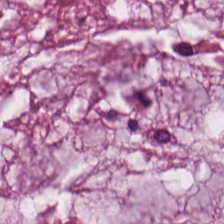Hematoxylin-and-eosin section: mucus.
